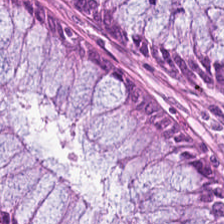H&E-stained tissue section. The tissue is non-neoplastic colon mucosa.
